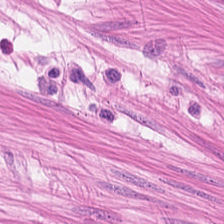0.5 µm/px; brightfield; H&E stain. Impression — muscularis.
